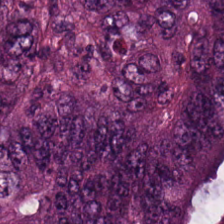Hematoxylin and eosin — Predominant tissue = colorectal adenocarcinoma.
